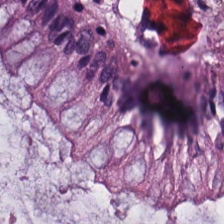H&E stain — This field is non-neoplastic colon mucosa.
